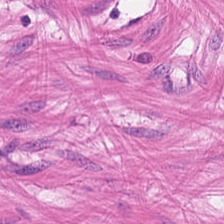Showing smooth muscle.
